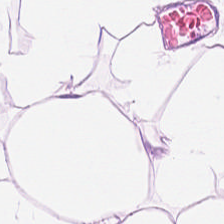H&E.
Showing adipose tissue.
